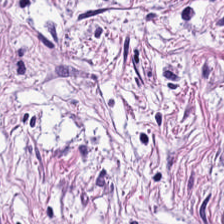FFPE · hematoxylin-and-eosin stained section — The predominant tissue is cancer-associated stroma.
